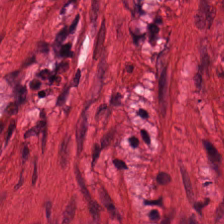The tissue is smooth-muscle tissue.
